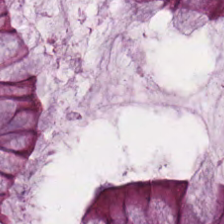Hematoxylin and eosin. Q: What is the predominant tissue type?
A: The field shows benign colonic mucosa.
